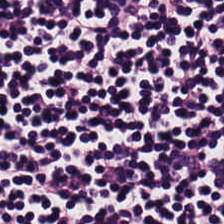224×224 px patch. FFPE tissue section. H&E stain. Q: What tissue is shown?
A: Lymphoid infiltrate.
